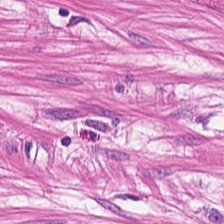0.5 µm/px. Hematoxylin and eosin — The classification is muscularis.
